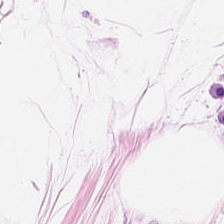The predominant tissue is adipose.
